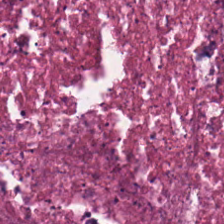Hematoxylin and eosin · brightfield. {"tissue_type": "necrotic debris"}
